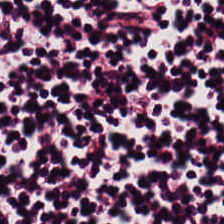Stain: H&E.
Tissue class: lymphocyte aggregate.
